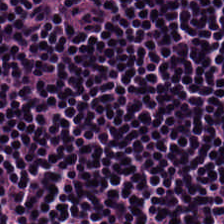Finding — lymphocytic infiltrate.
